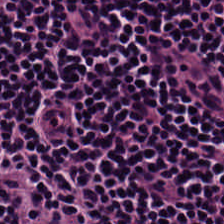Stain: H&E-stained tissue section.
Tissue class: lymphocytic infiltrate.
